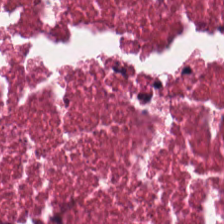Stain: hematoxylin-and-eosin stained section.
Tissue class: necrotic debris.
